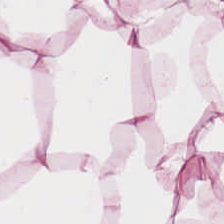Stain: H&E-stained tissue section.
Tissue type: fat tissue.
